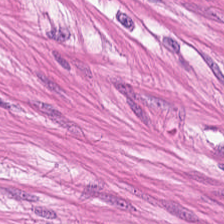Hematoxylin-and-eosin stained section. {"tissue_type": "smooth-muscle tissue"}
